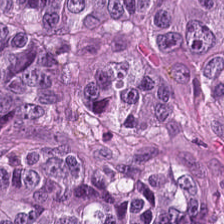WSI patch. H&E. Tissue class = adenocarcinoma.
